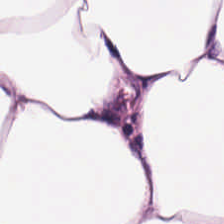The predominant tissue is adipocytes.
